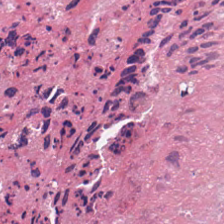H&E. The tissue class is cellular debris.
